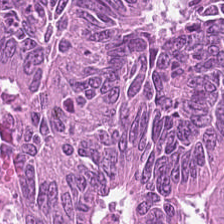0.5 µm per pixel · H&E stain. Q: What is the predominant tissue type?
A: It is colorectal adenocarcinoma epithelium.
